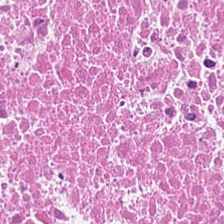H&E-stained tissue section. Cellular debris.
